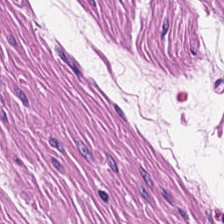Tissue — smooth muscle.
